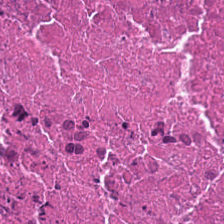H&E stain. 224×224 pixel tile. FFPE tissue section.
The predominant tissue is necrotic debris.
